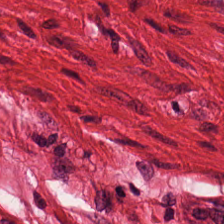H&E. FFPE — Predominantly smooth-muscle tissue.
